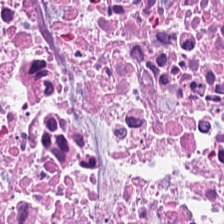224×224 pixel tile. H&E — Histology → necrotic debris.
